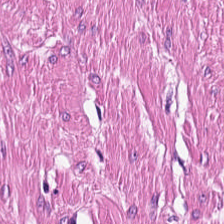H&E. {"tissue_type": "smooth muscle"}
